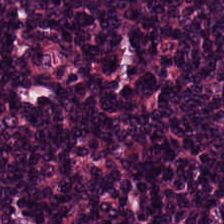H&E stain. Impression — lymphocyte aggregate.
